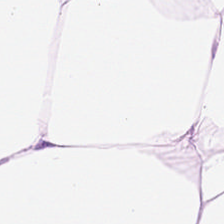FFPE tissue section · hematoxylin and eosin — Adipose tissue.
